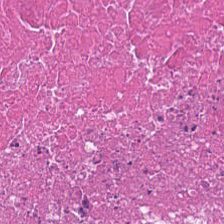Tissue: debris.
